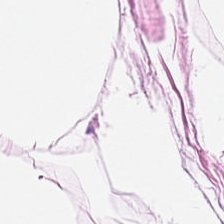H&E-stained tissue section. This field is fat tissue.
